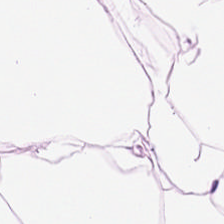H&E-stained tissue section. Classification: adipose.
